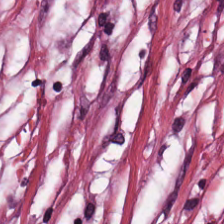Classification: tumor stroma.
